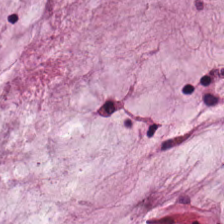Tissue type — mucin.
